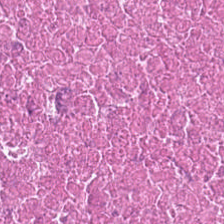H&E. Q: What is shown here?
A: Debris.
